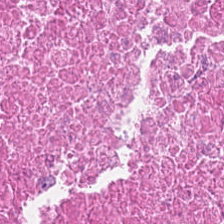H&E. Q: What tissue is shown?
A: It is cellular debris.
